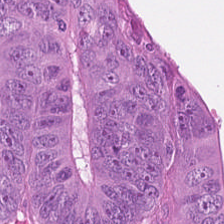224×224 pixel tile. H&E-stained tissue section — Q: Classify this patch.
A: This is adenocarcinoma.
